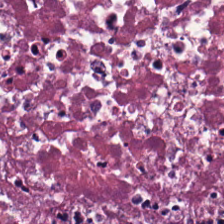H&E-stained tissue section. {"tissue_type": "debris"}
